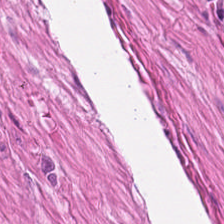Hematoxylin-and-eosin stained section — Tissue type: smooth muscle.
